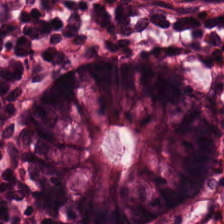224×224 pixel tile · brightfield · H&E-stained tissue section — The predominant tissue is normal colonic mucosa.
